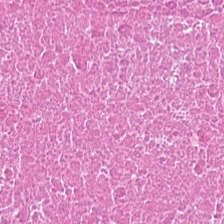This patch shows necrotic debris.
